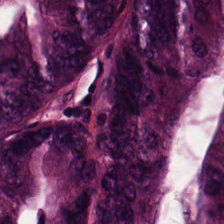H&E-stained tissue section. Q: What tissue is shown?
A: The field shows tumor epithelium.
